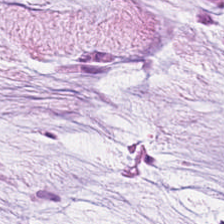224×224 px patch; H&E stain — The predominant tissue is extracellular mucin.
